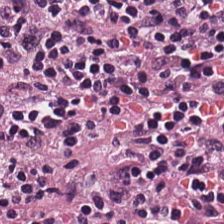The predominant tissue is lymphocyte aggregate.
